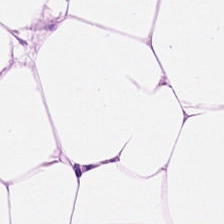Whole-slide-image patch; hematoxylin-and-eosin stained section — Q: What is the predominant tissue type?
A: This is adipocytes.
